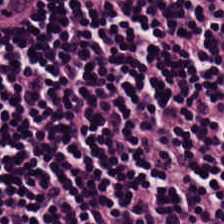20× equivalent magnification. Brightfield microscopy. Hematoxylin-and-eosin stained section — Q: Classify this patch.
A: The field shows lymphocytic infiltrate.
